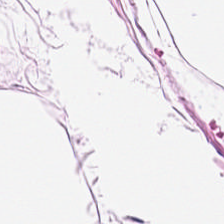Formalin-fixed paraffin-embedded section. Hematoxylin-and-eosin stained section. {"tissue_type": "adipocytes"}
